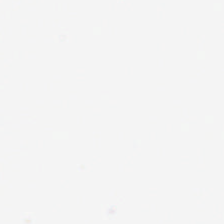Empty field — background.
